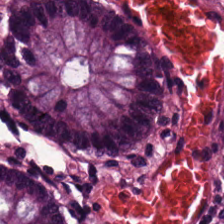Stain: H&E-stained tissue section.
Preparation: FFPE.
Tile size: 224×224 px tile.
Classification: normal colonic mucosa.
